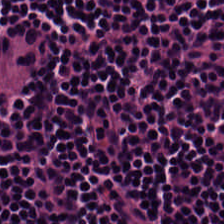H&E-stained tissue section — Q: What does this patch show?
A: It is lymphoid infiltrate.
